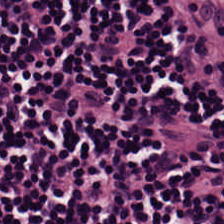This patch shows lymphocyte aggregate.
